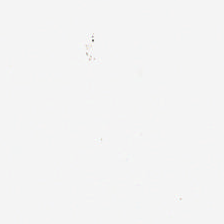224×224 px patch · H&E. This field is background (no tissue).
